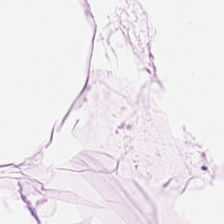H&E. Predominantly adipocytes.
